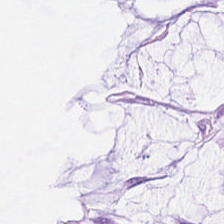H&E — Q: What is the predominant tissue type?
A: Mucin.
